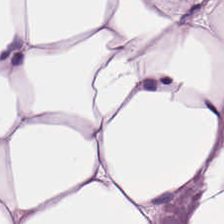H&E-stained tissue section. Predominantly adipose tissue.
